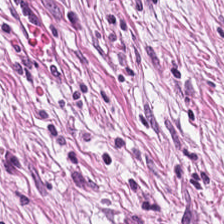Stain: H&E stain.
Tile size: 224×224 px patch.
Acquisition: WSI patch.
Tissue class: desmoplastic stroma.
